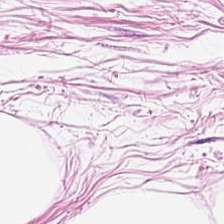Whole-slide-image patch · 224×224 px patch · H&E — This field is adipocytes.
